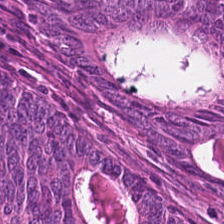Hematoxylin-and-eosin section: malignant epithelium.
